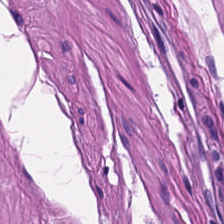20× equivalent magnification. Brightfield microscopy. H&E stain. Predominant tissue — smooth muscle.
